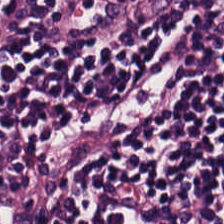H&E-stained section; the field shows lymphocytic infiltrate.
